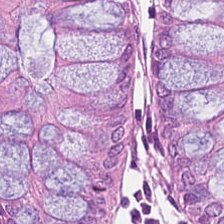Stain: hematoxylin and eosin.
Tile size: 224×224 px patch.
Resolution: 0.5 µm per pixel.
Tissue type: non-neoplastic colon mucosa.
